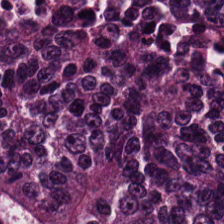Stain: H&E stain.
Resolution: 20× equivalent magnification.
Tissue class: adenocarcinoma.
